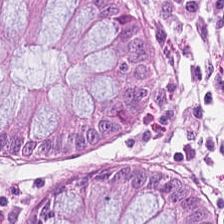WSI patch · hematoxylin-and-eosin stained section — The classification is normal colonic mucosa.
